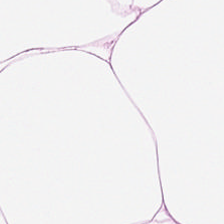H&E.
Q: What type of tissue is this?
A: Adipose tissue.
